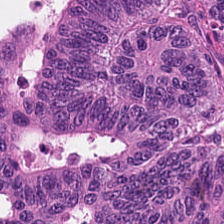H&E stain.
Showing colorectal adenocarcinoma.
